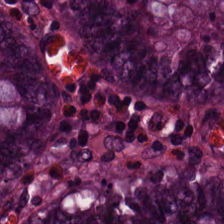Q: What tissue type is shown here?
A: Normal colonic mucosa.
